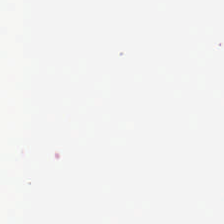Formalin-fixed paraffin-embedded section. Brightfield. H&E-stained tissue section. No tissue present; background only.
